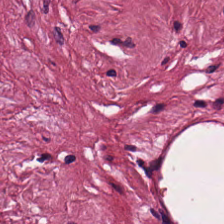H&E-stained tissue section · formalin-fixed paraffin-embedded section · 20× equivalent magnification — The classification is cancer-associated stroma.
